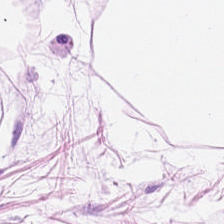Brightfield. H&E. 224×224 pixel tile. Histology → adipocytes.
